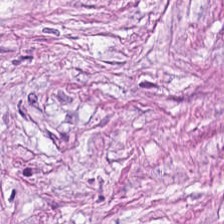0.5 µm/px · H&E stain. Desmoplastic stroma.
